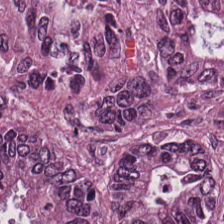H&E.
Q: What is the predominant tissue type?
A: Colorectal adenocarcinoma epithelium.
